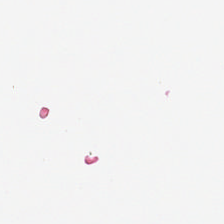0.5 µm/px. H&E stain. Field content — empty background.
